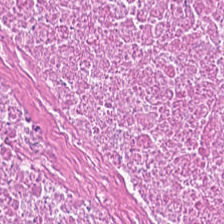H&E stain · brightfield microscopy · FFPE. Q: What is the predominant tissue type?
A: This is debris.
